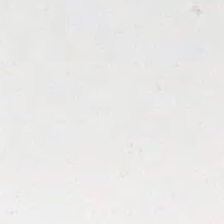H&E. {"content": "background"}
